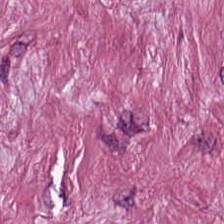H&E stain. 224×224 px tile. Predominant tissue — tumor stroma.
